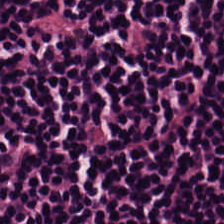Stain: hematoxylin-and-eosin stained section.
Preparation: formalin-fixed paraffin-embedded section.
Tissue: lymphocytes.
